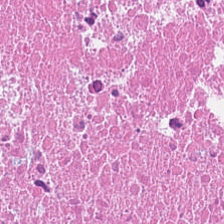Hematoxylin-and-eosin stained section; FFPE tissue section; brightfield — The tissue class is cellular debris.
